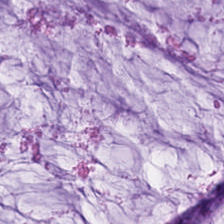H&E-stained tissue section.
The predominant tissue is mucus.
